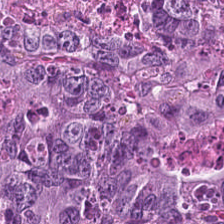Hematoxylin and eosin. The tissue is colorectal adenocarcinoma epithelium.
